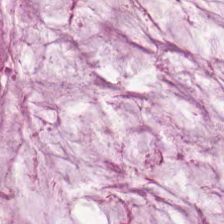Stain: H&E-stained tissue section.
Tissue: mucus.
